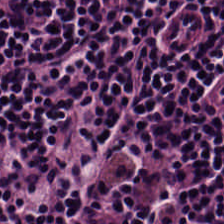Lymphoid infiltrate.
